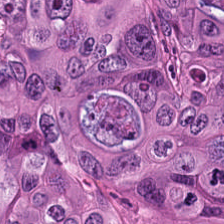H&E stain; FFPE.
Showing colorectal adenocarcinoma.
